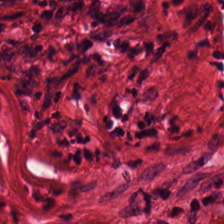H&E-stained tissue section — Tumor-associated stroma.
